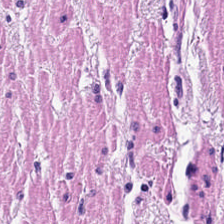H&E-stained tissue section — Predominant tissue: smooth muscle.
